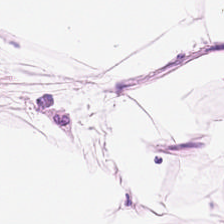Stain: H&E-stained tissue section.
Tissue: adipose.
